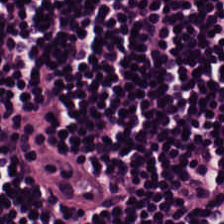Hematoxylin and eosin. 20× equivalent magnification. Showing lymphoid infiltrate.
